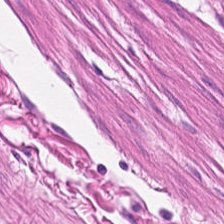H&E stain. FFPE tissue section.
{"tissue_type": "smooth muscle"}
